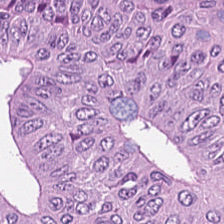H&E stain. 20× equivalent magnification. FFPE — Q: What type of tissue is this?
A: Tumor epithelium.
